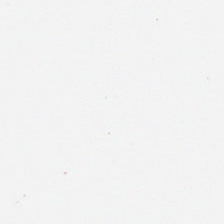Hematoxylin and eosin.
This field is background (no tissue).
